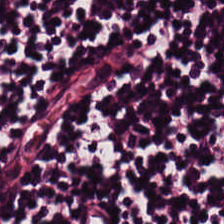Hematoxylin-and-eosin stained section.
The tissue here is lymphocytic infiltrate.
